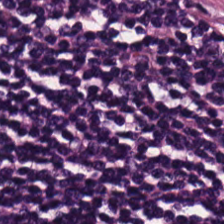H&E stain; formalin-fixed paraffin-embedded section.
Predominantly lymphocytic infiltrate.
